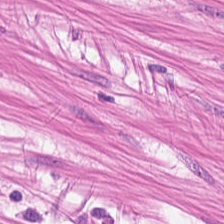Hematoxylin and eosin. Formalin-fixed paraffin-embedded section. This field is muscularis.
